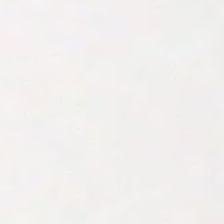Hematoxylin and eosin. Impression — background (no tissue).
